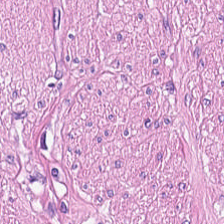H&E-stained tissue section.
The tissue here is muscularis.
